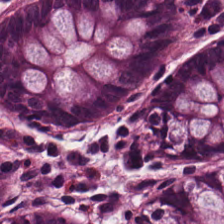H&E-stained tissue section.
Q: What tissue type is shown here?
A: It is normal colon mucosa.
